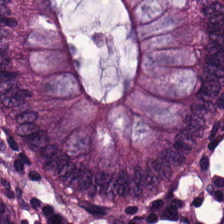H&E-stained tissue section. This patch shows non-neoplastic colon mucosa.
